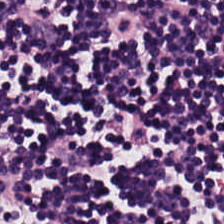Hematoxylin and eosin.
Histology — lymphocyte aggregate.
